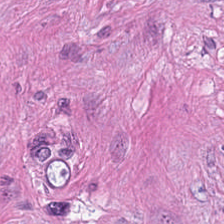20× equivalent magnification. H&E stain. Q: What is the predominant tissue type?
A: It is tumor-associated stroma.
